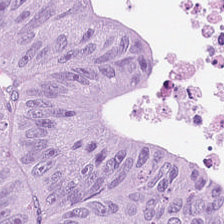Histology — colorectal adenocarcinoma.
